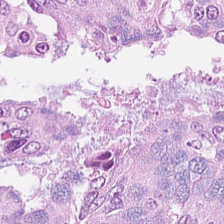0.5 microns per pixel · hematoxylin and eosin.
Tissue class: colorectal adenocarcinoma epithelium.
